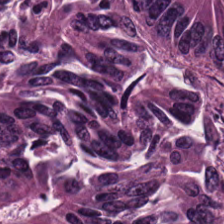Impression — colorectal adenocarcinoma.
